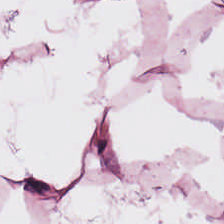FFPE; hematoxylin and eosin. Tissue class = adipocytes.
